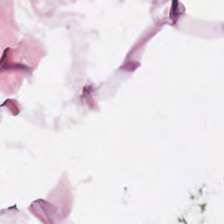Hematoxylin-and-eosin stained section.
{"tissue_type": "adipose"}
